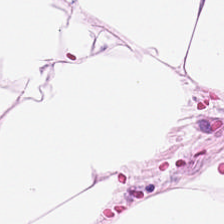Tissue class = adipose tissue.
